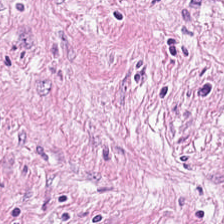H&E stain; FFPE. Impression → tumor stroma.
